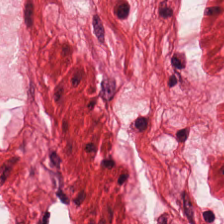H&E stain. Finding — muscularis.
